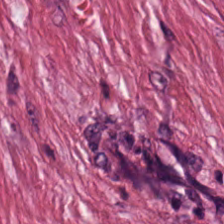H&E-stained tissue section — The predominant tissue is tumor stroma.
